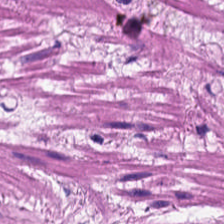H&E-stained tissue section. 0.5 microns per pixel.
The predominant tissue is smooth-muscle tissue.
